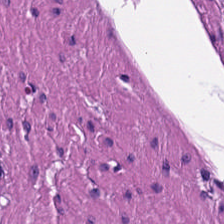H&E-stained tissue section; 224×224 px tile. Q: What tissue is shown?
A: This is muscularis.
